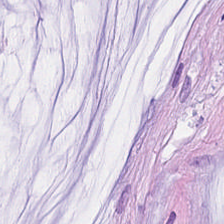FFPE tissue section. Hematoxylin-and-eosin stained section.
Q: What is the predominant tissue type?
A: Mucus.
